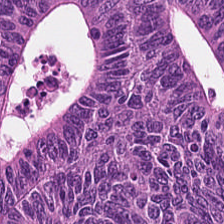20× equivalent magnification. H&E. 224×224 px tile — Q: Classify this patch.
A: The field shows adenocarcinoma.
